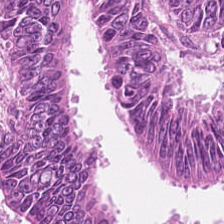Impression → malignant epithelium.
